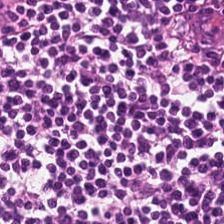Hematoxylin-and-eosin stained section; formalin-fixed paraffin-embedded section — Showing lymphocytic infiltrate.
